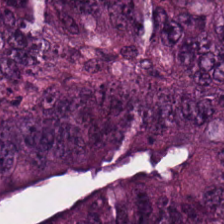H&E-stained tissue section — Tissue = adenocarcinoma.
